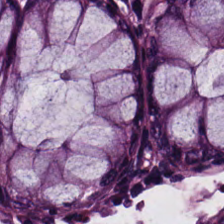Hematoxylin-and-eosin stained section — {"tissue_type": "normal colonic mucosa"}
